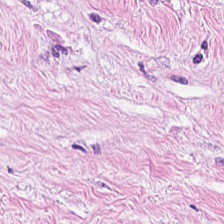Hematoxylin-and-eosin stained section; 0.5 µm per pixel — This field is cancer-associated stroma.
